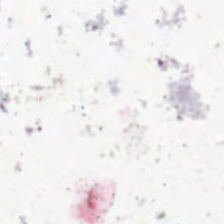224×224 px patch. Whole-slide-image patch. Hematoxylin-and-eosin stained section — Histology → no tissue.
